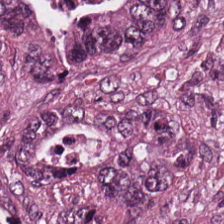H&E. Brightfield — {"tissue_type": "colorectal adenocarcinoma epithelium"}
